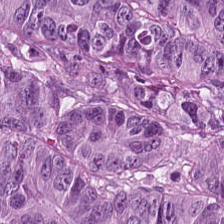Formalin-fixed paraffin-embedded section. H&E-stained tissue section.
Predominantly colorectal adenocarcinoma.
